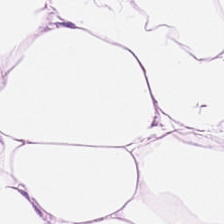224×224 pixel tile. H&E. 0.5 µm per pixel — Q: What tissue type is shown here?
A: The field shows adipose tissue.
